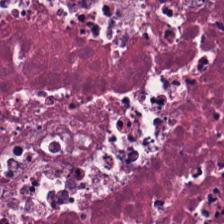224×224 px tile. Hematoxylin and eosin. Brightfield. This field is necrotic debris.
